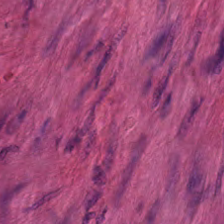Histology → smooth-muscle tissue.
